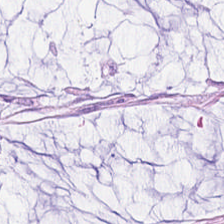0.5 microns per pixel; hematoxylin and eosin — Showing extracellular mucin.
